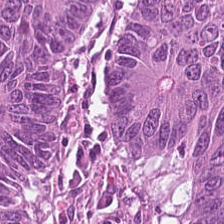The predominant tissue is tumor epithelium.
